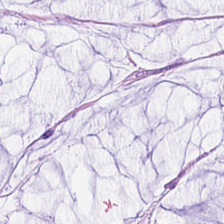Hematoxylin-and-eosin stained section. {"tissue_type": "extracellular mucin"}
